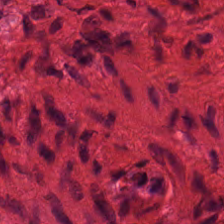WSI patch. Formalin-fixed paraffin-embedded section. Hematoxylin and eosin. Histology — muscularis.
